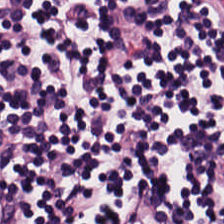Predominant tissue — lymphocytes.
